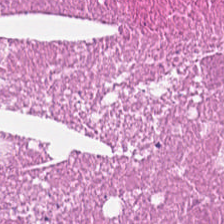Hematoxylin-and-eosin stained section.
Q: What tissue type is shown here?
A: Debris.
